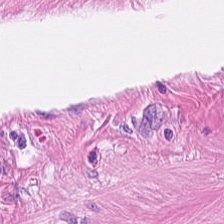H&E — The tissue here is muscularis.
